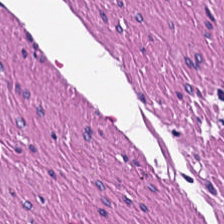H&E-stained tissue section. Smooth muscle.
